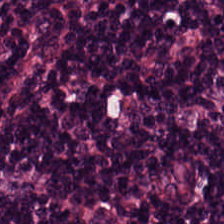H&E-stained tissue section — Q: What is the predominant tissue type?
A: Lymphocytes.
